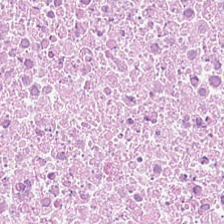H&E. Brightfield. FFPE tissue section — Debris.
